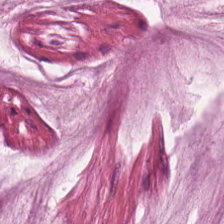Stain: H&E-stained tissue section.
Tissue type: extracellular mucin.
